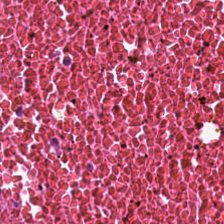The tissue here is cellular debris.
